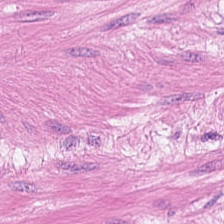Predominant tissue — smooth-muscle tissue.
